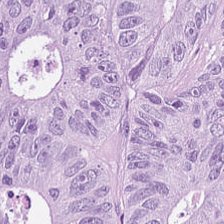H&E. 0.5 µm/px. 224×224 px tile.
Predominantly adenocarcinoma.
